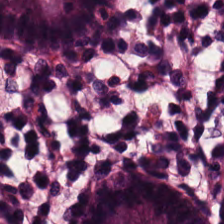H&E. This field is normal colon mucosa.
